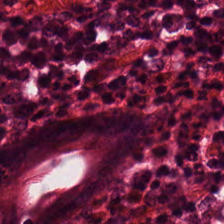Finding — normal colon mucosa.
